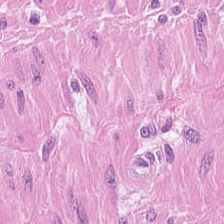H&E stain; brightfield — {"tissue_type": "muscularis"}
